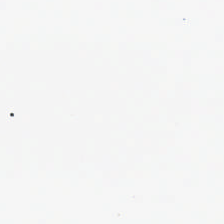H&E stain · brightfield. No tissue.
